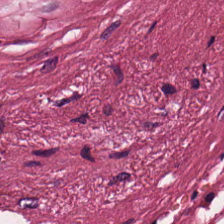H&E stain.
This field is desmoplastic stroma.
